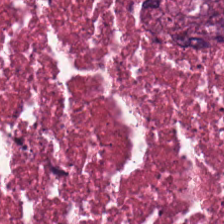WSI patch. H&E — The tissue class is debris.
